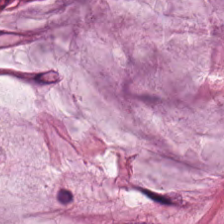Hematoxylin-and-eosin stained section.
Tissue — mucus.
